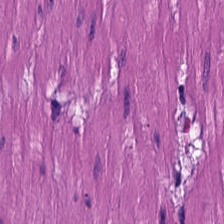H&E-stained section; the field shows smooth muscle.
